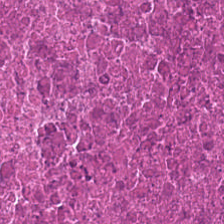Hematoxylin-and-eosin stained section.
This patch shows cellular debris.
